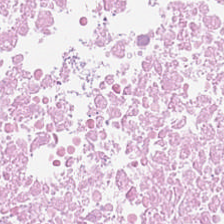Impression → necrotic debris.
